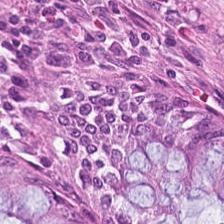H&E — {"tissue_type": "non-neoplastic colon mucosa"}
